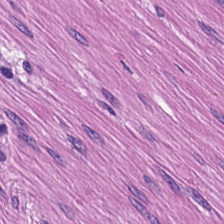Hematoxylin and eosin. Tissue class — smooth-muscle tissue.
